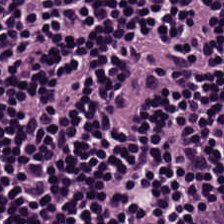Hematoxylin and eosin. 20× equivalent magnification. Whole-slide-image patch. Finding — lymphocytic infiltrate.
